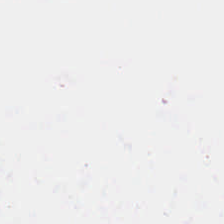Impression → background (no tissue).
